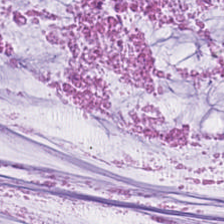This field is mucin.
